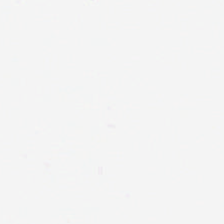{"content": "no tissue"}
